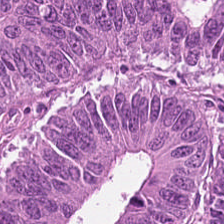Classification: adenocarcinoma.
